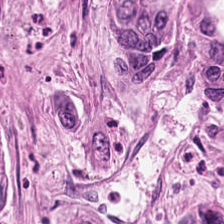Stain: hematoxylin and eosin.
Predominant tissue: colorectal adenocarcinoma.
